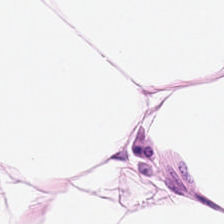Showing fat tissue.
